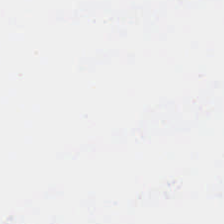This field is background (no tissue).
